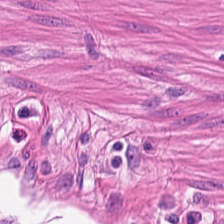This field is smooth muscle.
